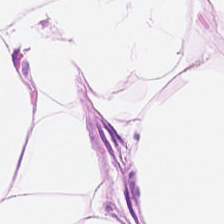Tissue: fat tissue.
